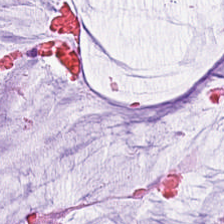Stain: H&E.
Predominant tissue: mucin.
